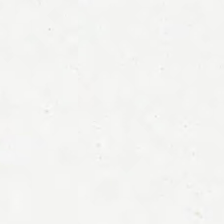224×224 px patch. H&E-stained tissue section. Background (no tissue).
